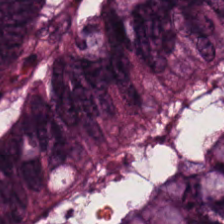H&E-stained tissue section. Tissue type = tumor epithelium.
